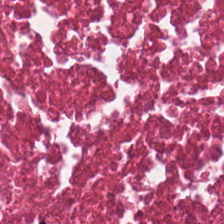Q: What is shown here?
A: This is necrotic debris.
